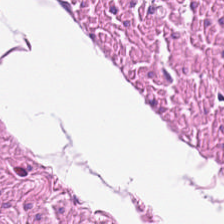224×224 pixel tile. H&E stain. This patch shows smooth muscle.
